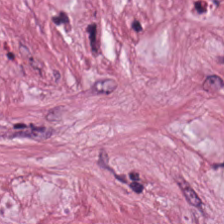H&E-stained tissue section. 0.5 µm/px — The predominant tissue is tumor stroma.
